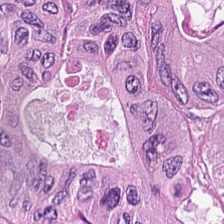Whole-slide-image patch · hematoxylin-and-eosin stained section. Tissue = adenocarcinoma.
